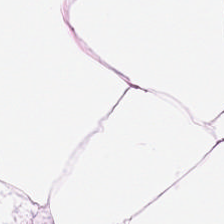H&E-stained tissue section; 224×224 px tile. The tissue is fat tissue.
